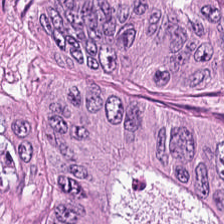H&E-stained tissue section. Q: What tissue type is shown here?
A: Colorectal adenocarcinoma.
